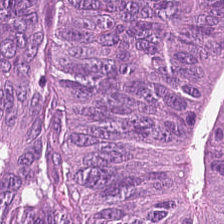Stain: hematoxylin and eosin.
Tissue type: colorectal adenocarcinoma.
